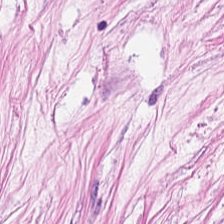FFPE. 0.5 µm per pixel. H&E stain — Cancer-associated stroma.
